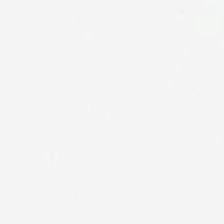Hematoxylin-and-eosin stained section.
Impression — background (no tissue).
